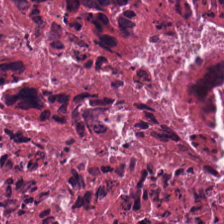H&E stain — Impression — debris.
